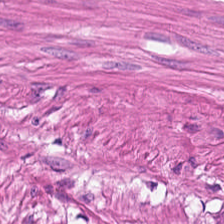Q: What does this patch show?
A: It is muscularis.
